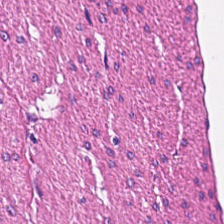Whole-slide-image patch; hematoxylin and eosin.
Predominantly muscularis.
